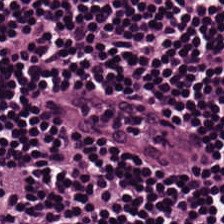H&E-stained section; the field shows lymphocytes.
